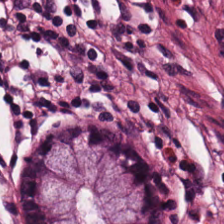Stain: H&E-stained tissue section.
Acquisition: whole-slide-image patch.
Classification: normal colon mucosa.
